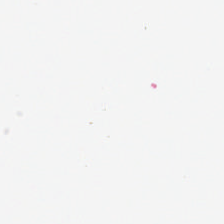0.5 µm per pixel. Hematoxylin and eosin.
No tissue.
